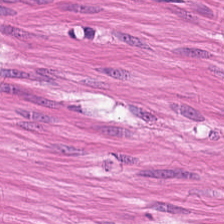Hematoxylin-and-eosin stained section — Finding → smooth muscle.
